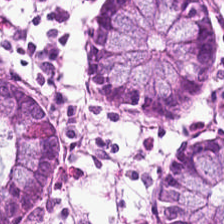H&E-stained tissue section. Showing normal colonic mucosa.
